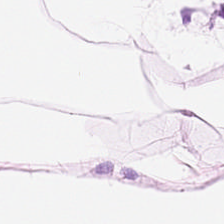224×224 pixel tile · formalin-fixed paraffin-embedded section · hematoxylin and eosin.
Histology → adipocytes.
